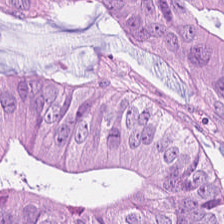H&E stain; 224×224 px tile.
Showing colorectal adenocarcinoma.
